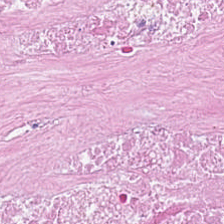H&E · 224×224 pixel tile. Predominantly necrotic debris.
